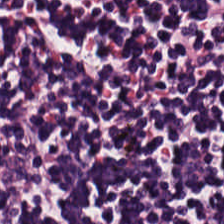H&E stain; WSI patch — Q: Identify the tissue.
A: The field shows lymphocytic infiltrate.
